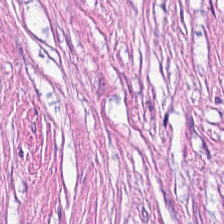FFPE; H&E stain.
Classification — desmoplastic stroma.
